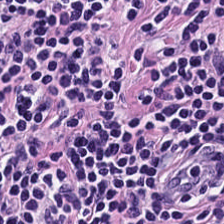Hematoxylin-and-eosin stained section; WSI patch.
Q: What is shown in this field?
A: The field shows lymphocytes.
